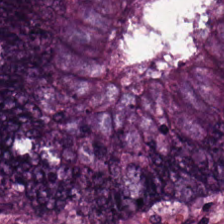H&E patch showing colorectal adenocarcinoma epithelium.
